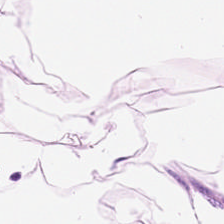H&E stain. Adipose.
